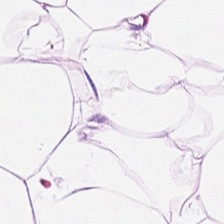H&E-stained tissue section — The tissue here is adipocytes.
